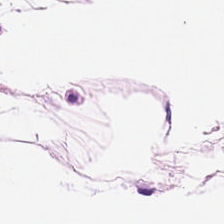0.5 microns per pixel. H&E-stained tissue section. Classification — adipocytes.
